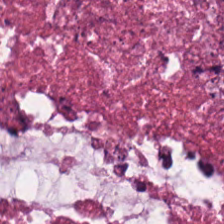Brightfield microscopy; hematoxylin and eosin — This field is cellular debris.
